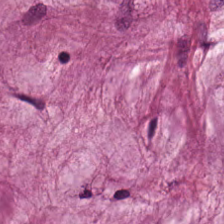WSI patch · H&E-stained tissue section.
Predominant tissue = extracellular mucin.
